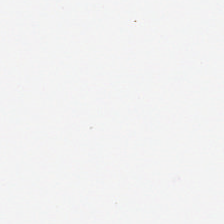The content is background (no tissue).
